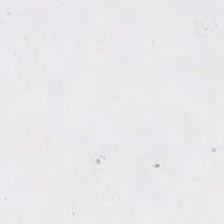Stain: hematoxylin-and-eosin stained section.
Acquisition: brightfield.
Preparation: formalin-fixed paraffin-embedded section.
Content: empty background.
